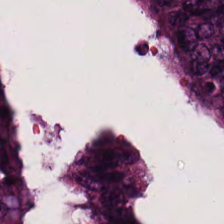Stain: H&E-stained tissue section.
Classification: colorectal adenocarcinoma.
